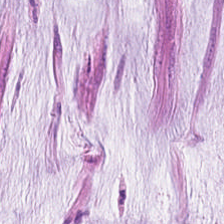Stain: hematoxylin and eosin.
Tissue type: extracellular mucin.
